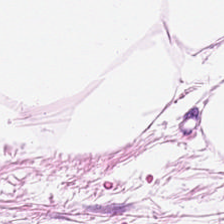Brightfield microscopy. H&E stain — Q: What tissue type is shown here?
A: It is adipose.
